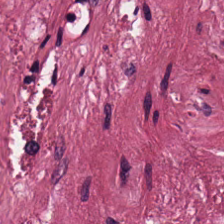Stain: hematoxylin-and-eosin stained section.
Acquisition: brightfield microscopy.
Resolution: 0.5 microns per pixel.
Classification: tumor-associated stroma.
